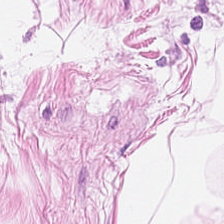H&E stain. This field is fat tissue.
